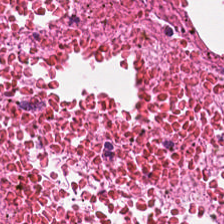Stain: hematoxylin and eosin.
Resolution: 20× equivalent magnification.
Tissue type: cellular debris.
